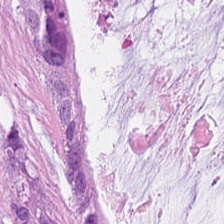H&E stain. The tissue here is mucin.
